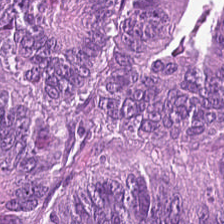Stain: H&E-stained tissue section.
Predominant tissue: colorectal adenocarcinoma.
